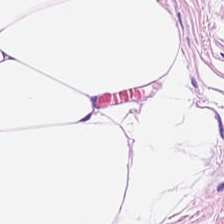H&E. Brightfield.
Q: What type of tissue is this?
A: The field shows adipose tissue.
